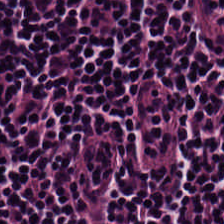H&E stain.
Tissue — lymphocytes.
